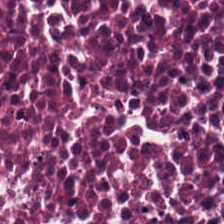WSI patch. H&E.
The tissue here is cellular debris.
